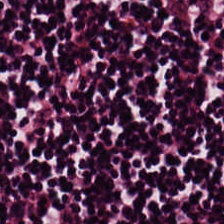H&E — lymphocytes.
